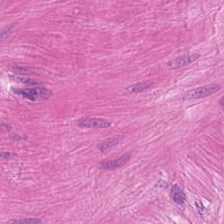Q: What is the predominant tissue type?
A: This is muscularis.
